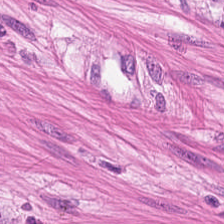H&E — This patch shows smooth-muscle tissue.
